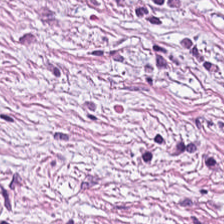224×224 px tile; hematoxylin and eosin; WSI patch — The predominant tissue is cancer-associated stroma.
